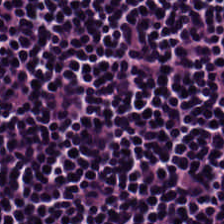0.5 microns per pixel; H&E stain; formalin-fixed paraffin-embedded section.
Tissue class — lymphocyte aggregate.
